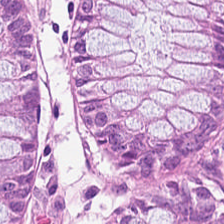224×224 px tile; H&E stain — This field is normal colon mucosa.
